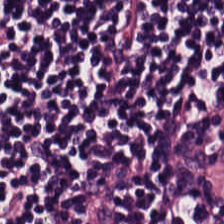0.5 microns per pixel · 224×224 pixel tile · H&E stain.
The tissue here is lymphoid infiltrate.
